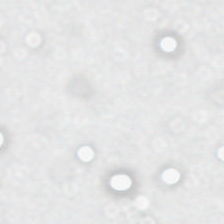Hematoxylin-and-eosin stained section — Content: background.
